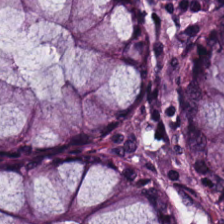Showing normal colonic mucosa.
